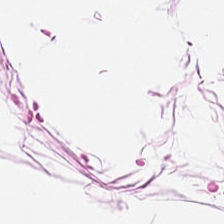H&E — Predominantly fat tissue.
